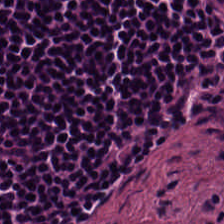Classification — lymphocytic infiltrate.
